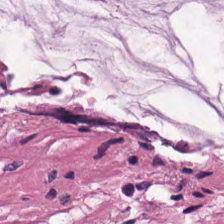H&E-stained tissue section. Showing mucus.
